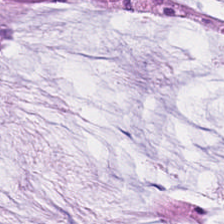Formalin-fixed paraffin-embedded section. H&E stain. Brightfield microscopy.
This patch shows extracellular mucin.
